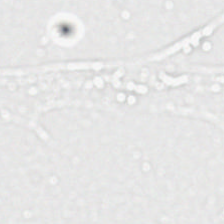No tissue present; background only.
